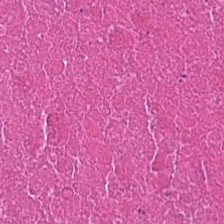H&E stain — The predominant tissue is cellular debris.
